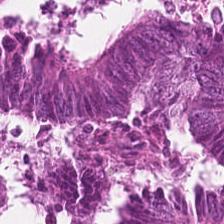H&E.
The predominant tissue is colorectal adenocarcinoma epithelium.
